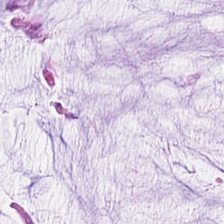Hematoxylin and eosin. Tissue type = mucin.
